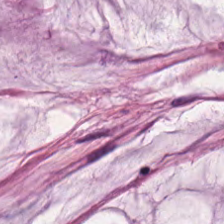H&E-stained section; the field shows mucin.
